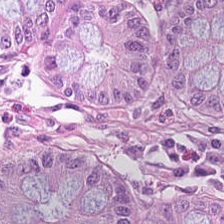H&E stain. 224×224 px tile. Brightfield microscopy. Predominantly benign colonic mucosa.
